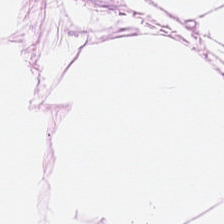H&E stain · FFPE tissue section.
Q: What tissue is shown?
A: The field shows adipocytes.
